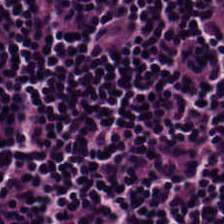Stain: H&E.
Classification: lymphocytes.
